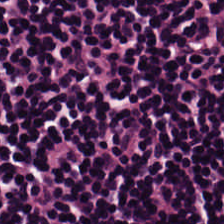Stain: H&E-stained tissue section.
Preparation: formalin-fixed paraffin-embedded section.
Tissue type: lymphoid infiltrate.
